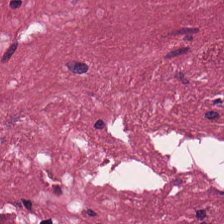Showing desmoplastic stroma.
